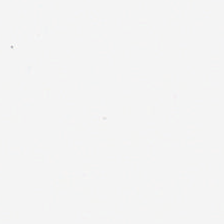H&E-stained tissue section — Empty field — background.
